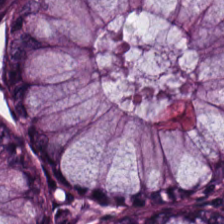H&E-stained tissue section.
Predominant tissue = benign colonic mucosa.
